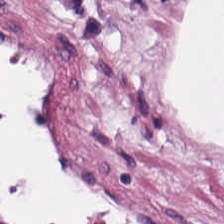H&E.
Predominant tissue = fat tissue.
